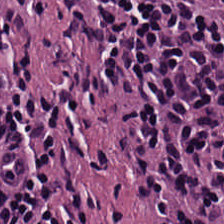Hematoxylin-and-eosin stained section.
Q: What is shown here?
A: This is lymphocytic infiltrate.
